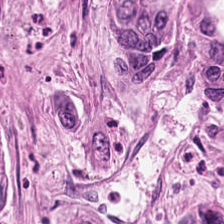Hematoxylin and eosin. Q: What is the predominant tissue type?
A: It is colorectal adenocarcinoma.
